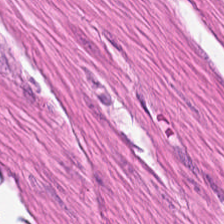Hematoxylin and eosin.
Predominant tissue — smooth-muscle tissue.
